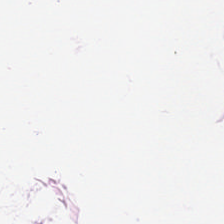H&E — Predominantly adipocytes.
